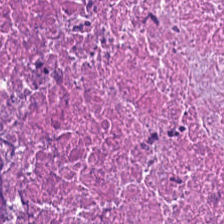FFPE. H&E-stained tissue section. Predominant tissue: necrotic debris.
